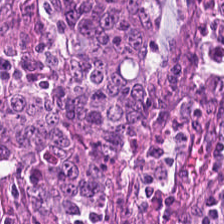Hematoxylin and eosin. 0.5 µm per pixel. This field is malignant epithelium.
